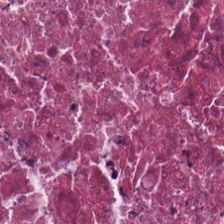0.5 µm per pixel. H&E — This field is debris.
